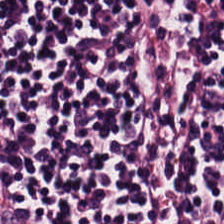H&E — lymphocytes.
